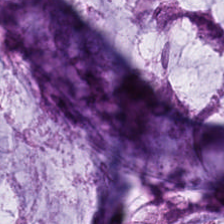H&E · 20× equivalent magnification.
Q: Classify this patch.
A: This is mucin.
